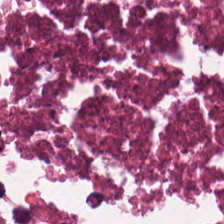Hematoxylin-and-eosin stained section; FFPE tissue section; 224×224 pixel tile. The predominant tissue is necrotic debris.
